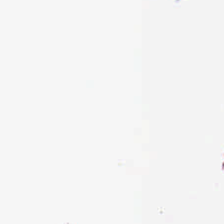Whole-slide-image patch; H&E-stained tissue section.
Classification = background.
